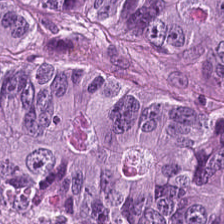Stain: H&E stain.
Tissue type: malignant epithelium.
